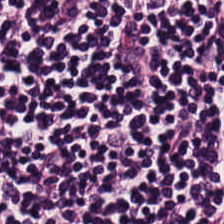Hematoxylin-and-eosin section: lymphoid infiltrate.
